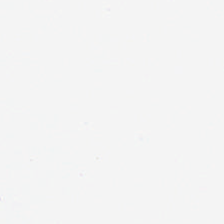H&E-stained tissue section. Q: What is shown in this field?
A: Background (no tissue).
